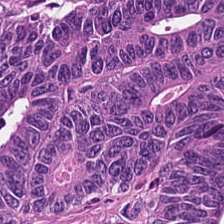Brightfield; 0.5 microns per pixel; hematoxylin and eosin.
Tissue — malignant epithelium.
